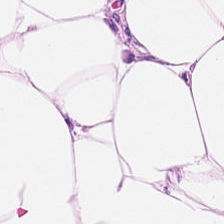224×224 px tile; hematoxylin-and-eosin stained section — Adipocytes.
